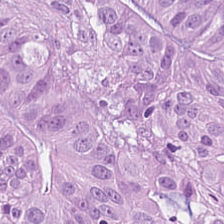Tissue — malignant epithelium.
